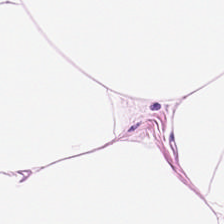H&E stain. 224×224 px tile. 0.5 µm per pixel — The predominant tissue is adipocytes.
